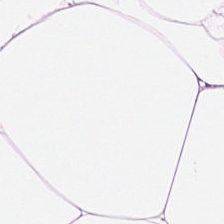Showing adipose tissue.
